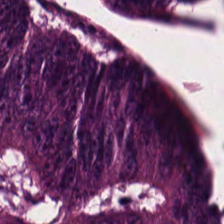Whole-slide-image patch; H&E — Q: What is shown here?
A: Adenocarcinoma.
